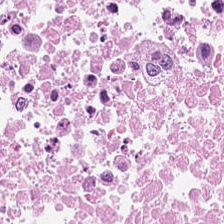H&E-stained tissue section. 0.5 microns per pixel. 224×224 px tile. Showing necrotic debris.
